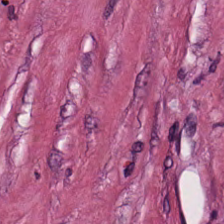Histology — tumor stroma.
